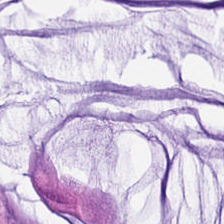H&E stain. Finding → mucin.
